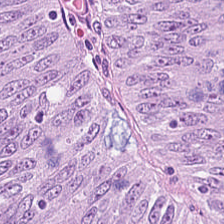H&E stain — Finding → tumor epithelium.
